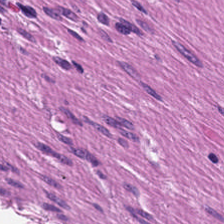Hematoxylin-and-eosin stained section.
Tissue type: muscularis.
